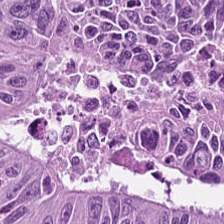H&E stain; 0.5 microns per pixel; 224×224 pixel tile. Showing tumor epithelium.
